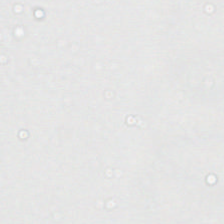Hematoxylin and eosin — Finding — no tissue.
